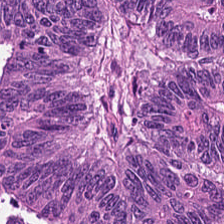H&E stain. 224×224 px patch.
Showing tumor epithelium.
